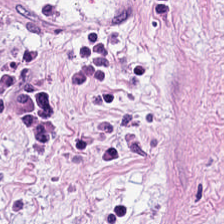H&E stain.
The tissue type is desmoplastic stroma.
